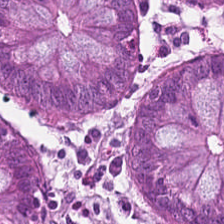Q: What tissue type is shown here?
A: It is benign colonic mucosa.
